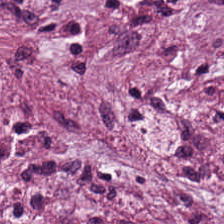H&E. {"tissue_type": "cancer-associated stroma"}
